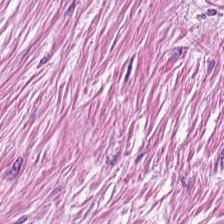20× equivalent magnification · formalin-fixed paraffin-embedded section · hematoxylin and eosin.
The tissue class is desmoplastic stroma.
